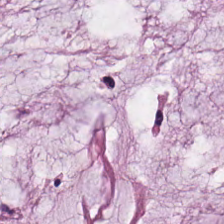H&E stain. 0.5 microns per pixel.
The tissue here is extracellular mucin.
